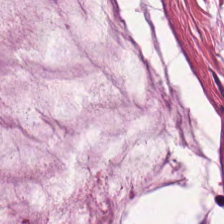Impression → mucus.
